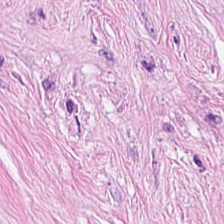Tissue type — desmoplastic stroma.
